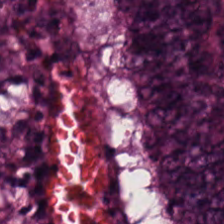Q: What does this patch show?
A: The field shows adenocarcinoma.
